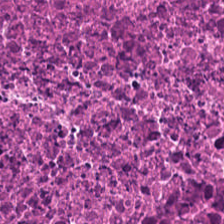H&E — Tissue: necrotic debris.
